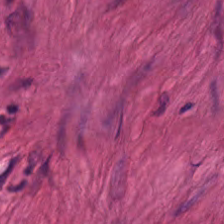Stain: H&E.
Tile size: 224×224 px patch.
Acquisition: whole-slide-image patch.
Predominant tissue: muscularis.
